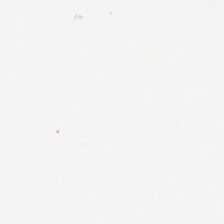Empty field — background.
